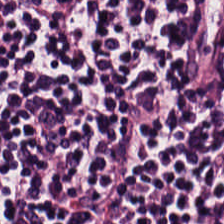Hematoxylin-and-eosin stained section — Q: What tissue type is shown here?
A: It is lymphoid infiltrate.
